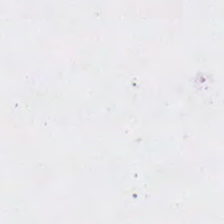224×224 px patch; hematoxylin-and-eosin stained section. No tissue.
